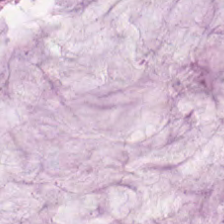Predominant tissue: mucus.
